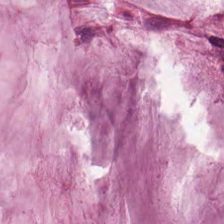Hematoxylin-and-eosin stained section. This patch shows extracellular mucin.
